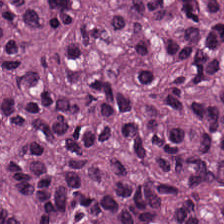H&E. Formalin-fixed paraffin-embedded section. Brightfield.
This patch shows tumor epithelium.
